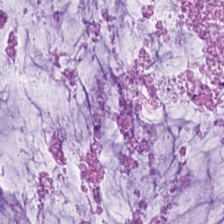Hematoxylin-and-eosin stained section. Predominantly mucus.
